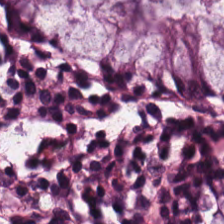0.5 microns per pixel · hematoxylin-and-eosin stained section · FFPE tissue section.
Q: What is shown in this field?
A: Normal colon mucosa.
